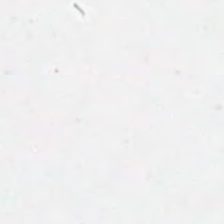224×224 pixel tile. H&E. Q: What is shown here?
A: Background (no tissue).
